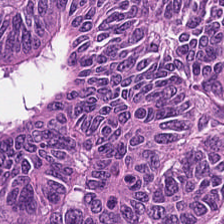Stain: hematoxylin-and-eosin stained section.
Acquisition: whole-slide-image patch.
Resolution: 20× equivalent magnification.
Predominant tissue: malignant epithelium.
